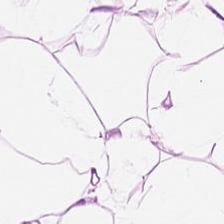H&E-stained tissue section; FFPE. Impression → adipose tissue.
